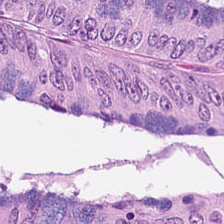Stain: hematoxylin-and-eosin stained section.
Classification: colorectal adenocarcinoma.
